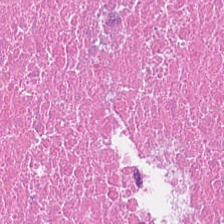Predominant tissue: necrotic debris.
